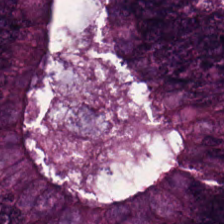Formalin-fixed paraffin-embedded section · brightfield microscopy · hematoxylin-and-eosin stained section — Q: What is shown in this field?
A: This is malignant epithelium.
